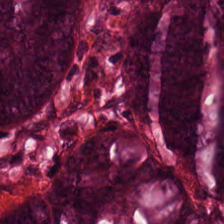Stain: H&E.
Tissue type: adenocarcinoma.
